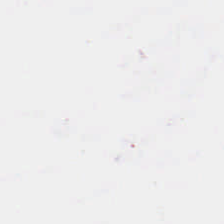The classification is empty background.
